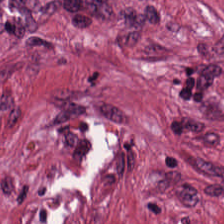Hematoxylin and eosin — This field is tumor stroma.
